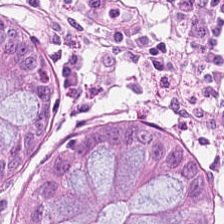Hematoxylin and eosin.
{"tissue_type": "non-neoplastic colon mucosa"}
